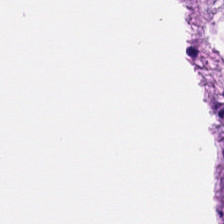H&E. Brightfield. This patch shows muscularis.
